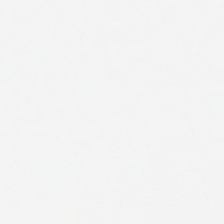Brightfield microscopy; hematoxylin and eosin. Impression → background (no tissue).
